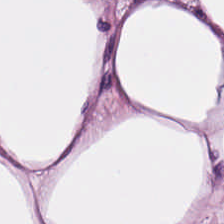H&E; 0.5 µm per pixel; 224×224 px tile — Predominantly adipose tissue.
